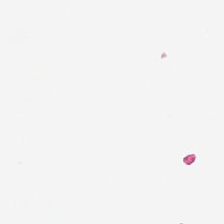Hematoxylin and eosin — {"content": "empty background"}
